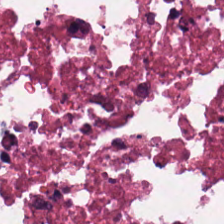H&E-stained tissue section.
Histology — necrotic debris.
